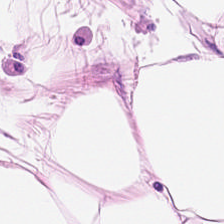H&E-stained tissue section. Tissue — adipose tissue.
